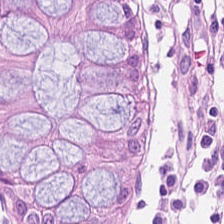The tissue class is normal colonic mucosa.
